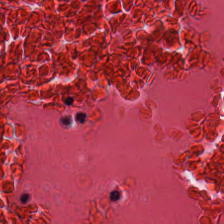H&E. 0.5 µm/px. Classification: cellular debris.
